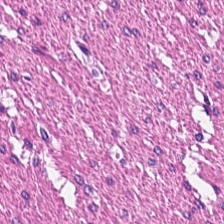Stain: hematoxylin and eosin.
Tissue: smooth-muscle tissue.
